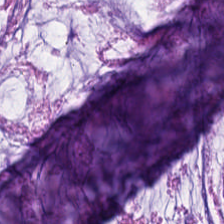224×224 px patch. H&E stain. 0.5 µm/px — Extracellular mucin.
